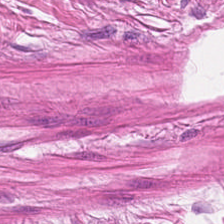0.5 µm per pixel · 224×224 px tile · H&E stain.
Showing smooth-muscle tissue.
